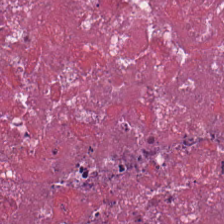Hematoxylin-and-eosin stained section · brightfield.
{"tissue_type": "debris"}
